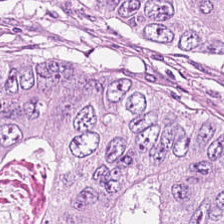FFPE · 0.5 µm per pixel · H&E — This field is tumor epithelium.
